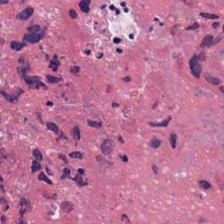{"tissue_type": "cellular debris"}
